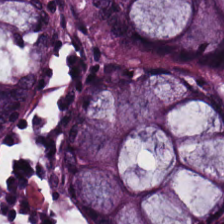H&E-stained section; the field shows normal colonic mucosa.
